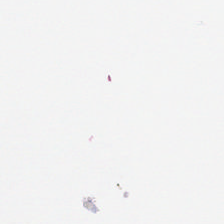H&E · WSI patch — The content is empty background.
